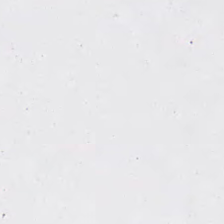H&E-stained tissue section. FFPE.
Field content: empty background.
